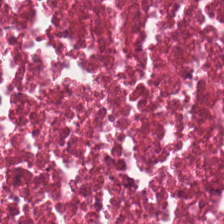H&E stain.
{"tissue_type": "necrotic debris"}
